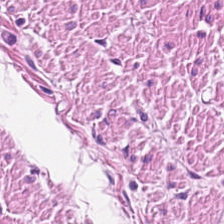Histology → smooth muscle.
